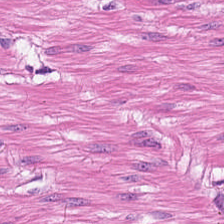Hematoxylin-and-eosin stained section. This field is smooth-muscle tissue.
